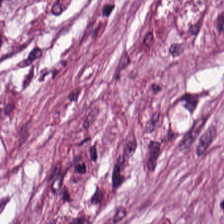Hematoxylin-and-eosin stained section — The predominant tissue is tumor-associated stroma.
